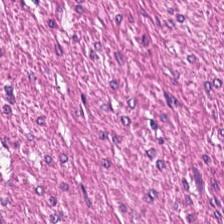0.5 microns per pixel. H&E. 224×224 pixel tile.
Showing smooth muscle.
